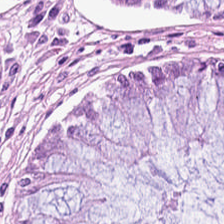Hematoxylin and eosin · 20× equivalent magnification · FFPE tissue section.
Tissue: normal colonic mucosa.
